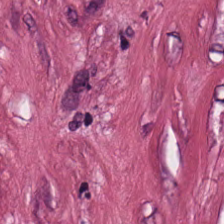H&E · 20× equivalent magnification.
This patch shows desmoplastic stroma.
